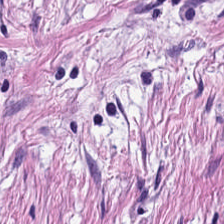Stain: H&E.
Tissue type: tumor stroma.
